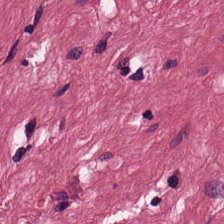H&E · FFPE tissue section · 224×224 px patch. The tissue is cancer-associated stroma.
